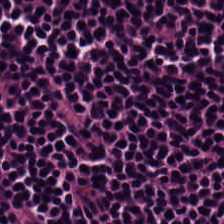H&E stain — Q: What does this patch show?
A: Lymphocytes.
